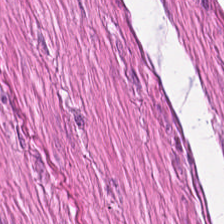H&E.
This patch shows muscularis.
